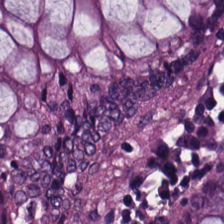Hematoxylin-and-eosin stained section. Classification = non-neoplastic colon mucosa.
